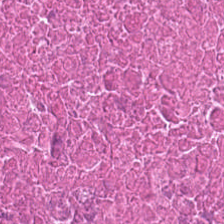FFPE tissue section; brightfield microscopy; H&E-stained tissue section. Tissue type = cellular debris.
